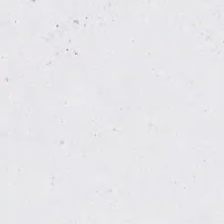H&E.
Empty field — empty background.
